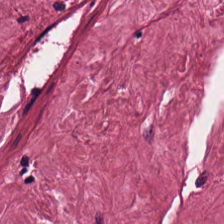Formalin-fixed paraffin-embedded section · H&E. Tissue class — tumor stroma.
